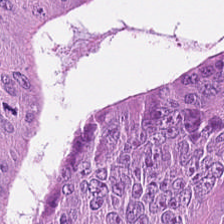Q: Classify this patch.
A: It is tumor epithelium.
